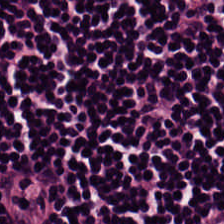H&E stain — The tissue here is lymphocytic infiltrate.
